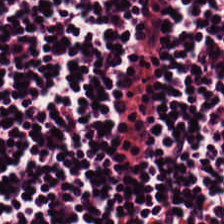Hematoxylin and eosin.
Lymphoid infiltrate.
